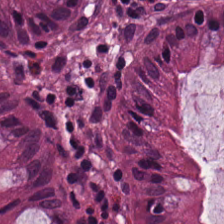H&E · FFPE. This field is benign colonic mucosa.
